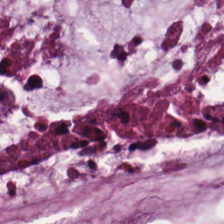This patch shows mucus.
